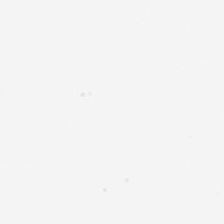Background (no tissue).
